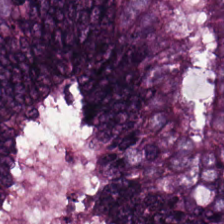Stain: hematoxylin and eosin.
Acquisition: WSI patch.
Resolution: 20× equivalent magnification.
Tissue: colorectal adenocarcinoma.
